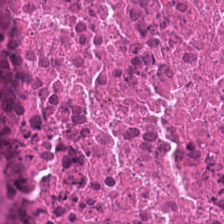Hematoxylin and eosin. Brightfield. 0.5 microns per pixel — Histology → cellular debris.
